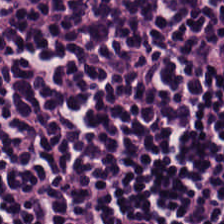H&E-stained tissue section. Predominant tissue — lymphoid infiltrate.
